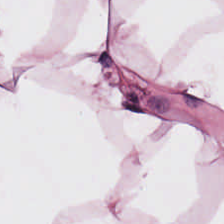Adipose tissue.
